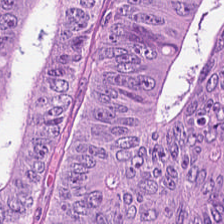H&E-stained tissue section. The predominant tissue is colorectal adenocarcinoma.
